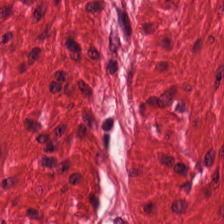The tissue here is muscularis.
